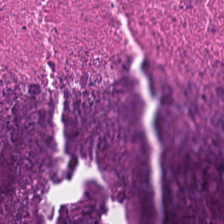H&E-stained tissue section. The tissue here is necrotic debris.
